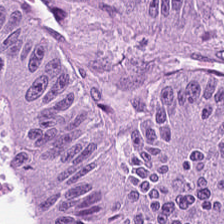WSI patch · H&E stain. Q: What is shown in this field?
A: The field shows tumor epithelium.
